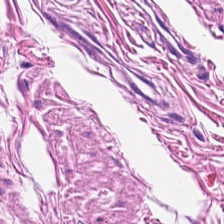{"tissue_type": "smooth muscle"}
